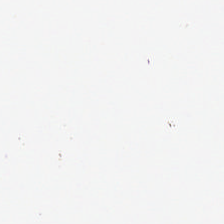Stain: hematoxylin-and-eosin stained section.
Field content: background.
